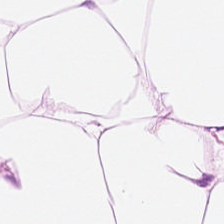FFPE tissue section. H&E stain — This patch shows adipose tissue.
